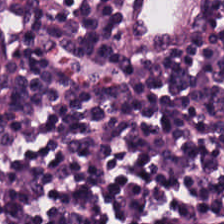Hematoxylin-and-eosin stained section · 224×224 px tile — Finding → lymphocytic infiltrate.
